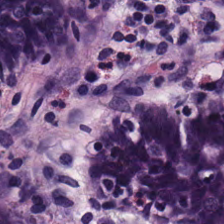H&E stain.
Tissue class = normal colonic mucosa.
